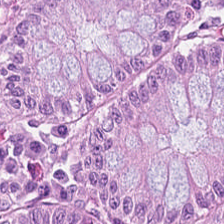Predominant tissue: non-neoplastic colon mucosa.
